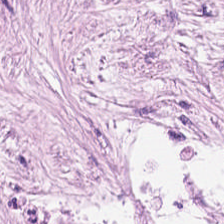H&E.
This patch shows desmoplastic stroma.
